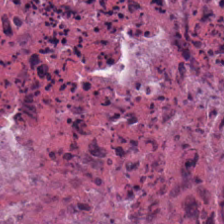H&E-stained tissue section · FFPE tissue section. Q: What tissue type is shown here?
A: The field shows cellular debris.
